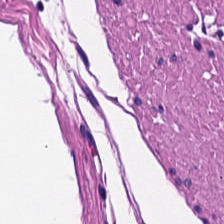0.5 microns per pixel. H&E stain. Formalin-fixed paraffin-embedded section. Impression — muscularis.
